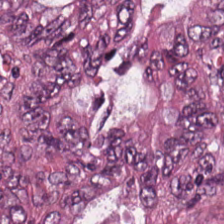Stain: hematoxylin-and-eosin stained section.
Resolution: 0.5 µm per pixel.
Tile size: 224×224 px tile.
Tissue type: colorectal adenocarcinoma epithelium.
